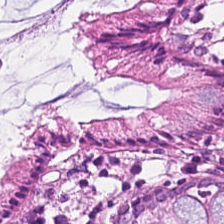This field is normal colonic mucosa.
